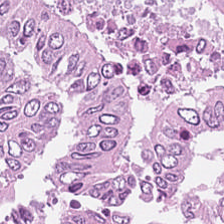Stain: hematoxylin-and-eosin stained section.
Tissue type: malignant epithelium.
